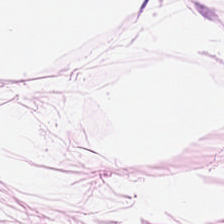Stain: H&E.
Classification: adipose tissue.
